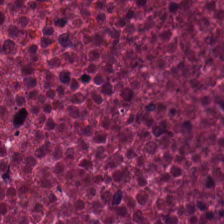Tissue type — necrotic debris.
